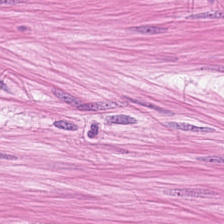Hematoxylin and eosin; 224×224 pixel tile — Q: What tissue is shown?
A: Muscularis.
